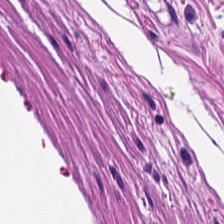H&E stain — Predominant tissue: smooth-muscle tissue.
